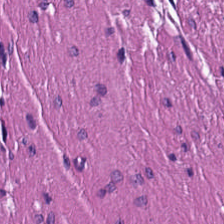H&E stain.
The classification is smooth-muscle tissue.
